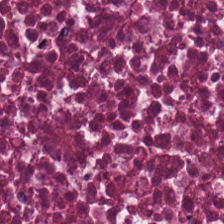H&E-stained tissue section. The tissue here is necrotic debris.
